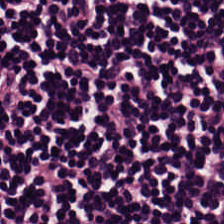Histology → lymphocytes.
